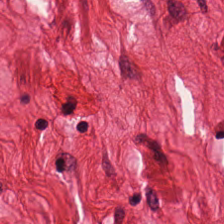Brightfield microscopy · hematoxylin-and-eosin stained section — Finding → muscularis.
